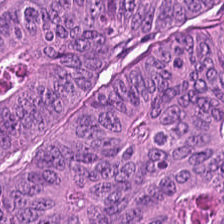Brightfield microscopy; hematoxylin-and-eosin stained section; 224×224 px patch. This patch shows tumor epithelium.
